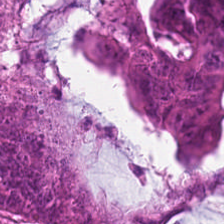Brightfield microscopy. H&E stain. Tissue class — colorectal adenocarcinoma.
